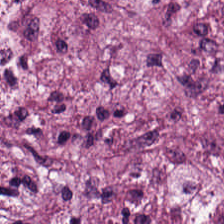Q: What tissue type is shown here?
A: This is tumor stroma.
